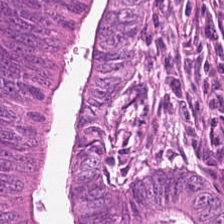FFPE. Hematoxylin-and-eosin stained section — This patch shows adenocarcinoma.
